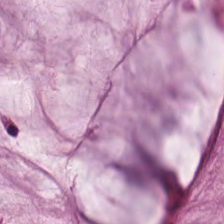Hematoxylin-and-eosin stained section. 224×224 px tile. Formalin-fixed paraffin-embedded section — Tissue class = extracellular mucin.
